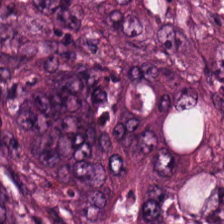H&E stain · brightfield microscopy · 224×224 pixel tile — Finding — adenocarcinoma.
